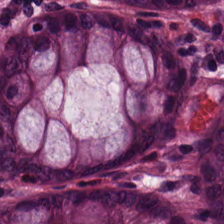Histology — benign colonic mucosa.
